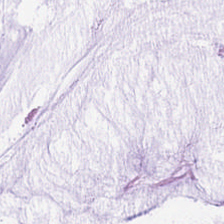Formalin-fixed paraffin-embedded section · hematoxylin and eosin — The tissue here is extracellular mucin.
